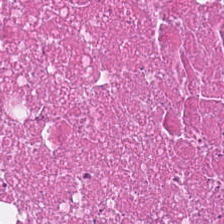Stain: H&E stain.
Tile size: 224×224 px tile.
Classification: cellular debris.
